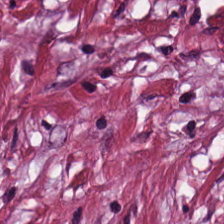0.5 µm/px · hematoxylin-and-eosin stained section.
Finding — desmoplastic stroma.
